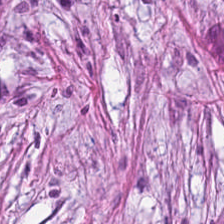Hematoxylin-and-eosin stained section · brightfield · 224×224 px tile. Showing tumor stroma.
